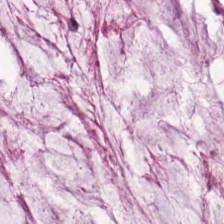Formalin-fixed paraffin-embedded section. H&E — Q: What type of tissue is this?
A: Mucin.
